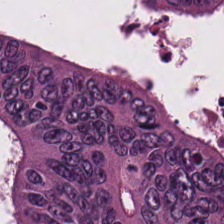Stain: H&E.
Resolution: 20× equivalent magnification.
Tissue: adenocarcinoma.
